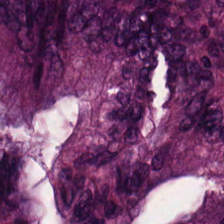This patch shows tumor epithelium.
